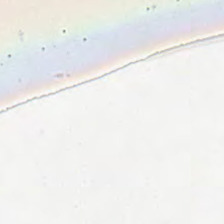H&E — Classification: background.
